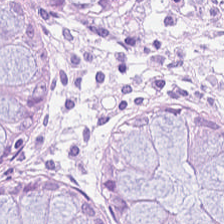Brightfield; 224×224 px tile; hematoxylin-and-eosin stained section. Benign colonic mucosa.
